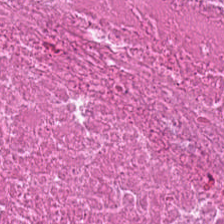Stain: H&E-stained tissue section.
Predominant tissue: necrotic debris.
